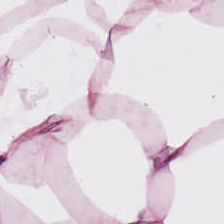Hematoxylin and eosin — Predominantly adipose.
